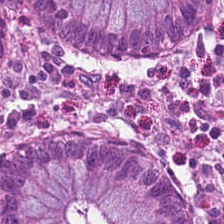Stain: H&E stain.
Resolution: 0.5 microns per pixel.
Tissue class: non-neoplastic colon mucosa.
